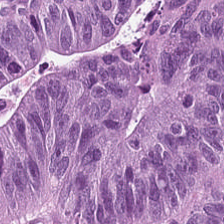Hematoxylin-and-eosin stained section. 224×224 pixel tile — Classification: colorectal adenocarcinoma.
